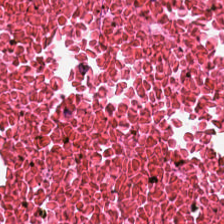Predominant tissue — necrotic debris.
